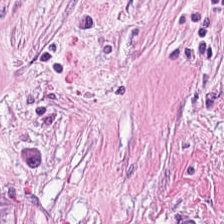Hematoxylin-and-eosin stained section — The predominant tissue is desmoplastic stroma.
